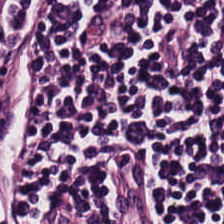H&E-stained tissue section.
This field is lymphocytes.
